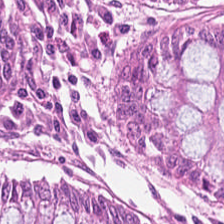Hematoxylin and eosin. This field is benign colonic mucosa.
